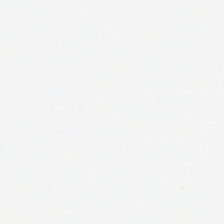H&E stain · formalin-fixed paraffin-embedded section — No tissue present; background only.
